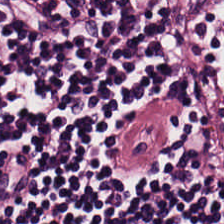Histology → lymphocyte aggregate.
